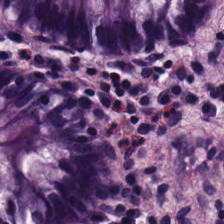Showing normal colonic mucosa.
